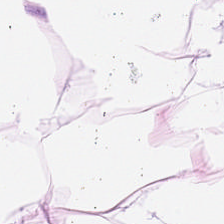H&E-stained tissue section. Tissue class — adipose tissue.
